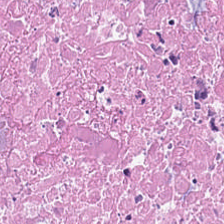Stain: hematoxylin-and-eosin stained section.
Tissue class: necrotic debris.
